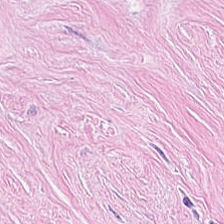Formalin-fixed paraffin-embedded section. Hematoxylin and eosin — Predominant tissue = tumor stroma.
